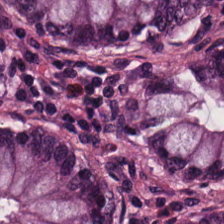FFPE tissue section; H&E stain.
Classification: normal colon mucosa.
